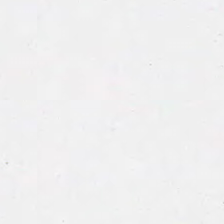Stain: H&E.
Classification: no tissue.
